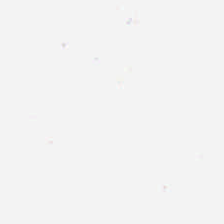224×224 pixel tile; hematoxylin-and-eosin stained section; 20× equivalent magnification. No tissue present; background only.
